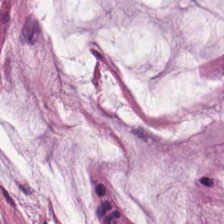Stain: H&E-stained tissue section.
Tissue: mucus.
